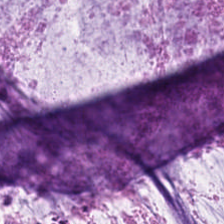Hematoxylin and eosin. Tissue class: mucin.
